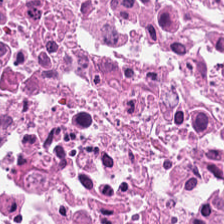Stain: hematoxylin-and-eosin stained section.
Tissue class: necrotic debris.
